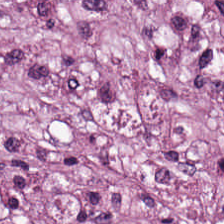Formalin-fixed paraffin-embedded section; hematoxylin-and-eosin stained section.
Q: What tissue is shown?
A: It is desmoplastic stroma.
